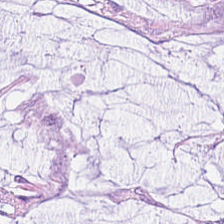Hematoxylin-and-eosin stained section.
Q: What tissue type is shown here?
A: Mucin.
